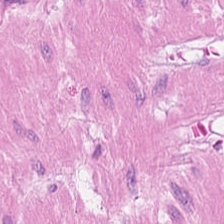224×224 px tile; FFPE; H&E-stained tissue section — Histology → smooth muscle.
